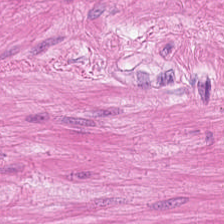This patch shows muscularis.
